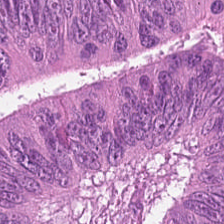0.5 µm per pixel; hematoxylin and eosin; FFPE — Tissue class: tumor epithelium.
